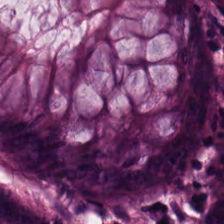H&E stain — Tissue: benign colonic mucosa.
